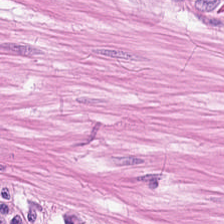Hematoxylin-and-eosin stained section.
Q: What does this patch show?
A: The field shows smooth muscle.
